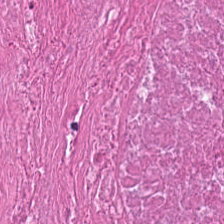Hematoxylin and eosin.
Q: What type of tissue is this?
A: It is debris.
